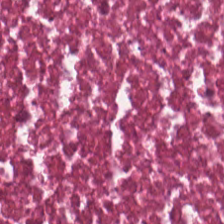Hematoxylin-and-eosin stained section.
Q: What does this patch show?
A: Cellular debris.
